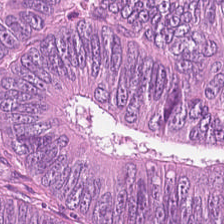Tissue type: adenocarcinoma.
